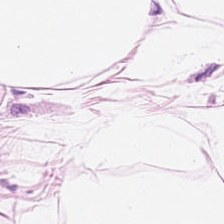Hematoxylin and eosin. Finding → adipocytes.
